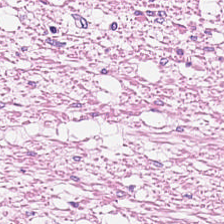H&E patch showing smooth-muscle tissue.
